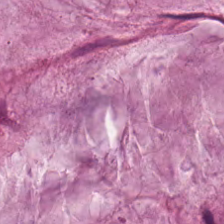Formalin-fixed paraffin-embedded section; hematoxylin-and-eosin stained section.
Mucin.
